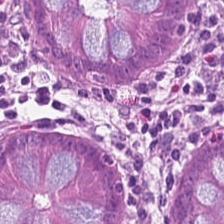Hematoxylin and eosin — This patch shows non-neoplastic colon mucosa.
